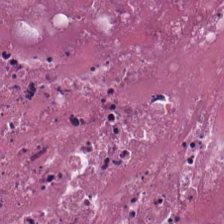Hematoxylin and eosin. WSI patch. Histology → debris.
